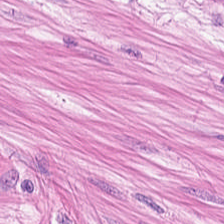Whole-slide-image patch · H&E stain — Tissue = muscularis.
